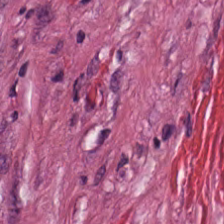0.5 microns per pixel; H&E-stained tissue section.
Desmoplastic stroma.
